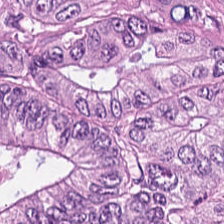Tissue: tumor epithelium.
